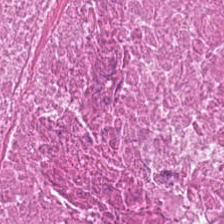H&E-stained tissue section. Finding → cellular debris.
